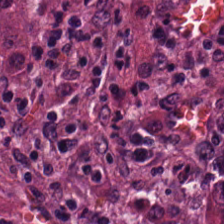The tissue type is tumor stroma.
